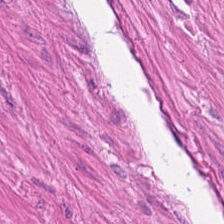H&E. Q: What tissue type is shown here?
A: This is muscularis.
